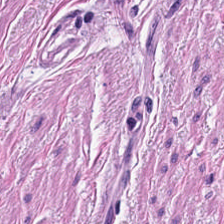Classification — smooth-muscle tissue.
